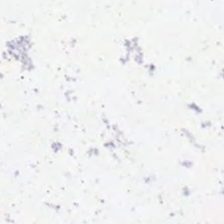H&E-stained tissue section.
Empty field — background.
